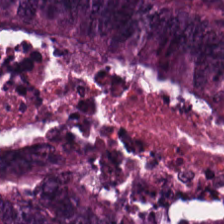0.5 µm per pixel · hematoxylin-and-eosin stained section — {"tissue_type": "malignant epithelium"}
